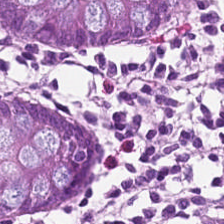H&E-stained tissue section. Formalin-fixed paraffin-embedded section — Tissue class: benign colonic mucosa.
